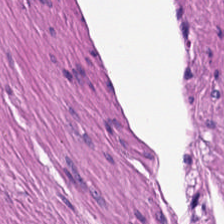224×224 px patch; H&E.
The classification is smooth muscle.
